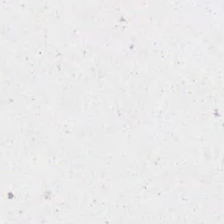Q: What does this patch show?
A: No tissue.
